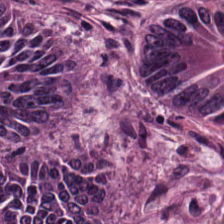Stain: H&E stain.
Preparation: FFPE tissue section.
Tissue: colorectal adenocarcinoma epithelium.
